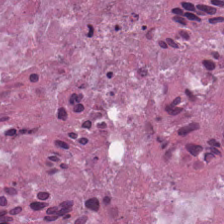Formalin-fixed paraffin-embedded section · 20× equivalent magnification · hematoxylin-and-eosin stained section — The predominant tissue is necrotic debris.
